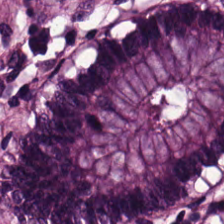Hematoxylin and eosin — Showing benign colonic mucosa.
